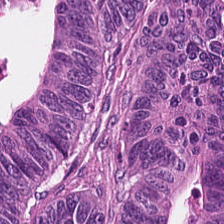0.5 µm per pixel. FFPE. H&E. Predominantly tumor epithelium.
